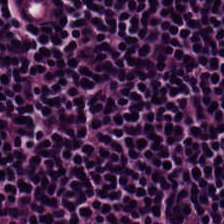H&E stain — Predominant tissue — lymphocytes.
